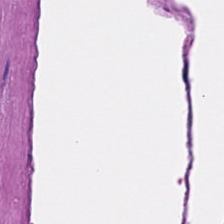WSI patch · hematoxylin-and-eosin stained section.
The classification is smooth-muscle tissue.
